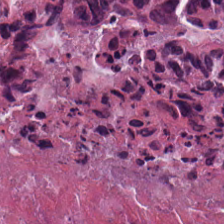H&E-stained tissue section.
The classification is necrotic debris.
